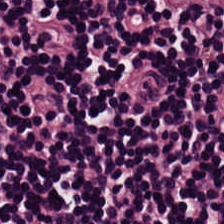H&E.
Q: What is shown here?
A: The field shows lymphoid infiltrate.
